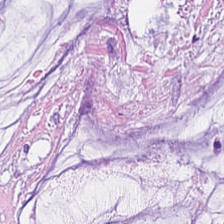The tissue here is mucin.
